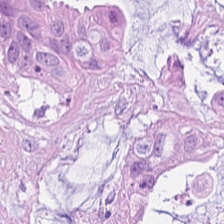Formalin-fixed paraffin-embedded section. 224×224 px tile. Hematoxylin-and-eosin stained section.
Q: What does this patch show?
A: This is extracellular mucin.
